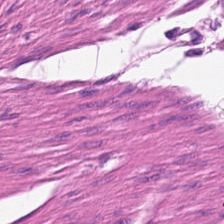Hematoxylin-and-eosin section: muscularis.
